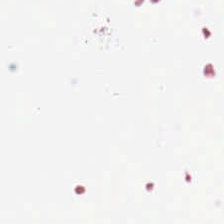Q: Classify this patch.
A: The field shows background.
